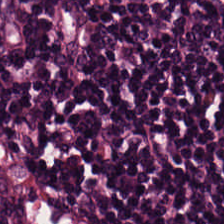H&E patch showing lymphocytic infiltrate.
